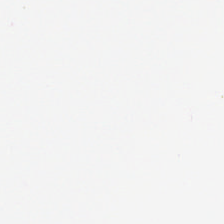Histology — background.
